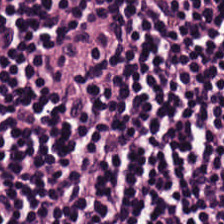H&E-stained section; the field shows lymphoid infiltrate.
